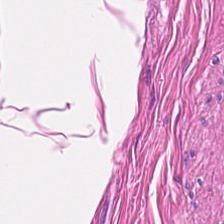Brightfield; H&E — Predominantly smooth muscle.
